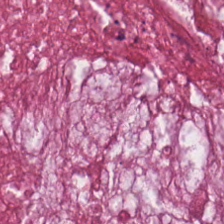0.5 µm/px · hematoxylin and eosin · 224×224 px tile.
Showing extracellular mucin.
